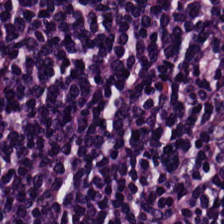Classification: lymphocytes.
